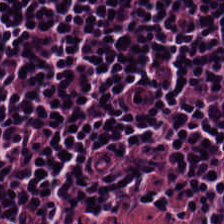H&E stain. WSI patch.
Tissue class = lymphocytes.
